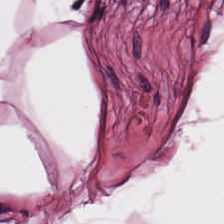Stain: H&E stain.
Acquisition: whole-slide-image patch.
Classification: adipocytes.
